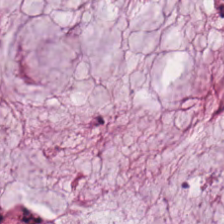20× equivalent magnification. H&E-stained tissue section — Showing mucus.
